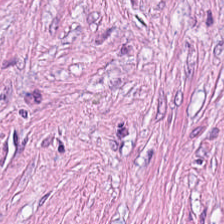H&E-stained tissue section.
Tissue: tumor stroma.
